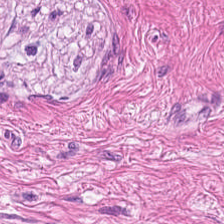Formalin-fixed paraffin-embedded section · hematoxylin-and-eosin stained section.
This patch shows smooth muscle.
